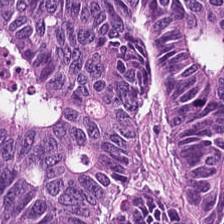The tissue class is malignant epithelium.
